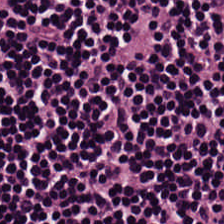Hematoxylin-and-eosin stained section — The tissue here is lymphocytes.
